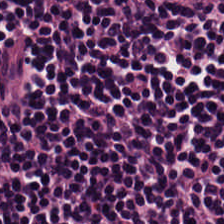{"tissue_type": "lymphocytes"}
